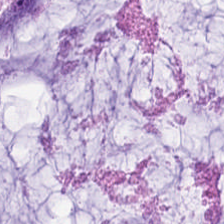Tissue type = mucus.
